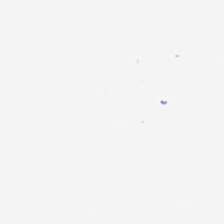Content: background.
